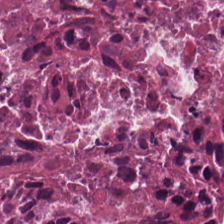H&E-stained tissue section.
Showing necrotic debris.
